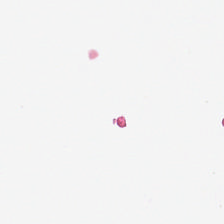H&E-stained tissue section. Field content — background (no tissue).
